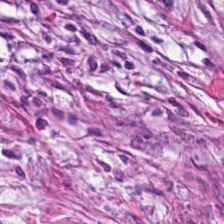Hematoxylin and eosin.
The tissue here is cancer-associated stroma.
